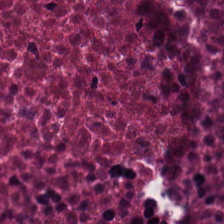Classification — debris.
